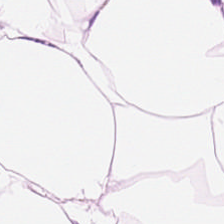Showing fat tissue.
